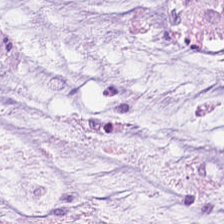0.5 microns per pixel. Hematoxylin-and-eosin stained section — Histology → extracellular mucin.
